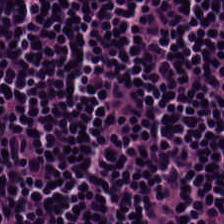Predominant tissue = lymphocytes.
